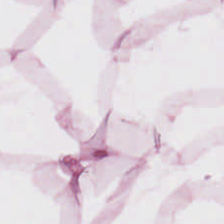H&E-stained tissue section — Finding → adipose.
